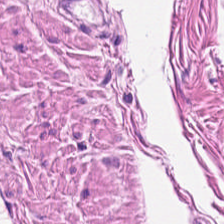Hematoxylin-and-eosin stained section. WSI patch — Histology → smooth muscle.
